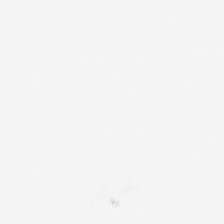H&E stain. Field content — background.
